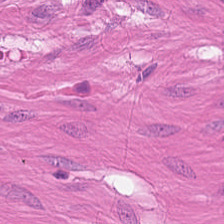0.5 µm per pixel. H&E-stained tissue section — Tissue type — muscularis.
